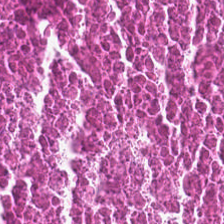Q: What tissue is shown?
A: The field shows debris.
